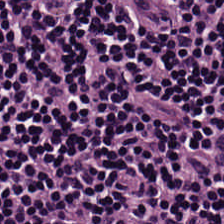H&E · 224×224 pixel tile. This field is lymphoid infiltrate.
